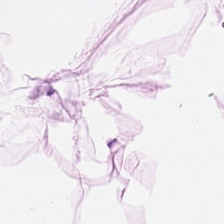H&E-stained tissue section. This patch shows adipose.
